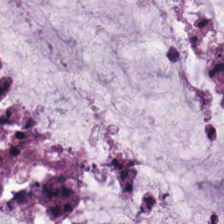Hematoxylin-and-eosin stained section.
{"tissue_type": "mucus"}
